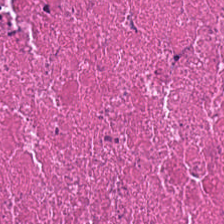0.5 µm/px · formalin-fixed paraffin-embedded section · H&E stain — Tissue: debris.
